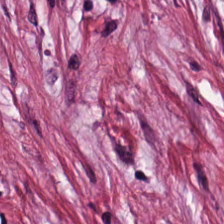H&E-stained tissue section — {"tissue_type": "tumor-associated stroma"}
